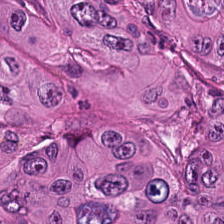H&E-stained tissue section.
Malignant epithelium.
